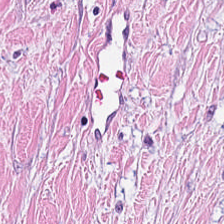H&E — Q: Identify the tissue.
A: This is tumor-associated stroma.
